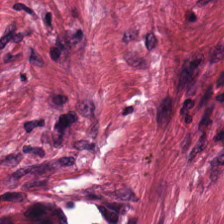Hematoxylin and eosin.
This field is desmoplastic stroma.
